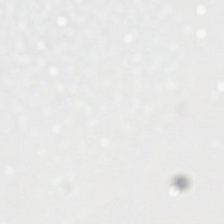{"content": "background"}
